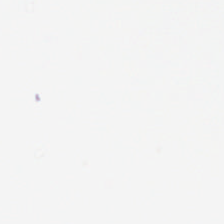20× equivalent magnification · hematoxylin and eosin — Histology → no tissue.
